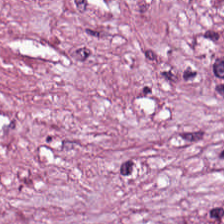Hematoxylin and eosin — Q: What type of tissue is this?
A: Tumor-associated stroma.
